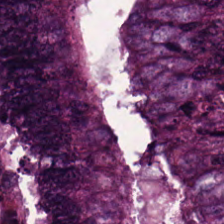Hematoxylin-and-eosin stained section. Q: What tissue is shown?
A: This is malignant epithelium.
